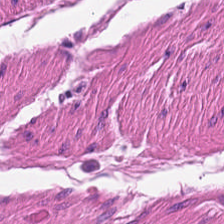H&E stain.
This field is smooth-muscle tissue.
